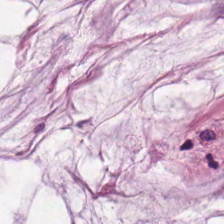Tissue class — extracellular mucin.
